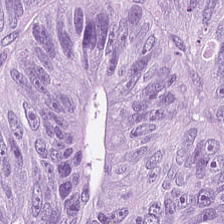224×224 pixel tile · H&E stain. Tissue — malignant epithelium.
